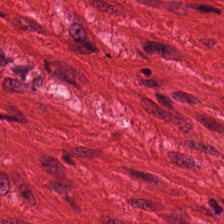Hematoxylin and eosin.
Classification = smooth-muscle tissue.
